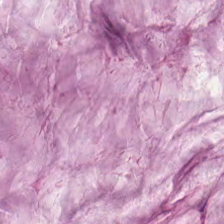H&E stain; FFPE tissue section.
Predominant tissue: mucin.
